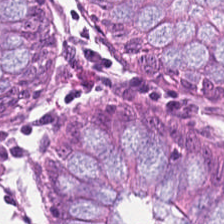Hematoxylin and eosin — Tissue class — benign colonic mucosa.
